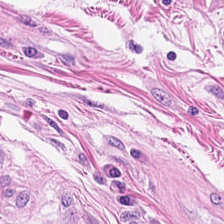Stain: H&E-stained tissue section.
Predominant tissue: smooth-muscle tissue.
